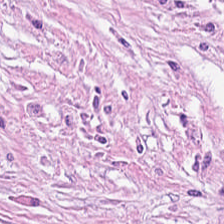Hematoxylin and eosin. 0.5 µm per pixel — Tissue type — desmoplastic stroma.
